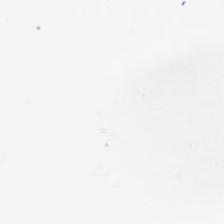H&E. Background (no tissue).
